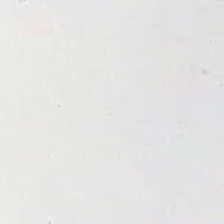Stain: H&E-stained tissue section.
Classification: background (no tissue).
